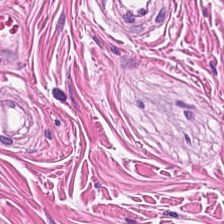FFPE tissue section. 0.5 µm per pixel. H&E. Muscularis.
